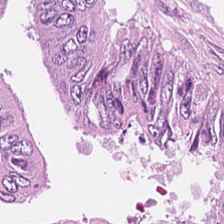H&E-stained section; the field shows colorectal adenocarcinoma.
